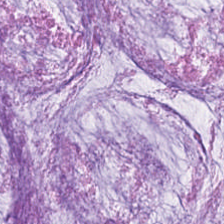Hematoxylin and eosin. This patch shows mucus.
